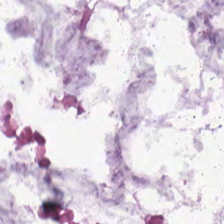H&E-stained tissue section.
Predominantly extracellular mucin.
